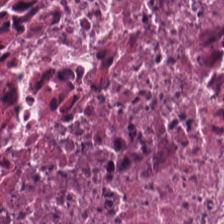H&E; FFPE. The tissue type is necrotic debris.
